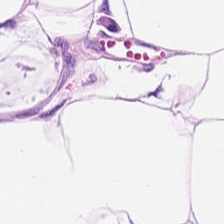Hematoxylin and eosin · WSI patch · 0.5 microns per pixel. This field is adipose tissue.
